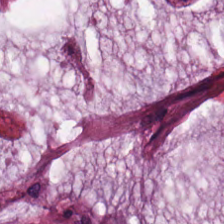Stain: H&E stain.
Classification: mucus.
